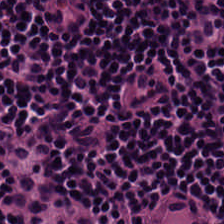Stain: hematoxylin and eosin.
Preparation: formalin-fixed paraffin-embedded section.
Classification: lymphocyte aggregate.
